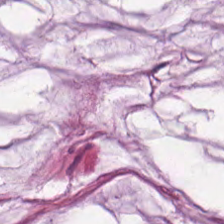224×224 px tile. Hematoxylin and eosin. Showing extracellular mucin.
